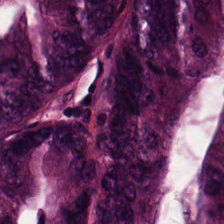H&E-stained tissue section.
Finding — adenocarcinoma.
